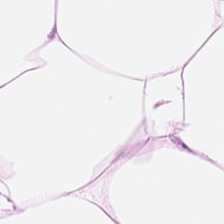Q: What type of tissue is this?
A: It is fat tissue.
